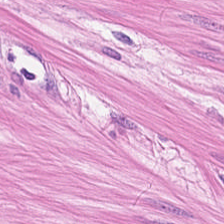Hematoxylin and eosin · 224×224 pixel tile · 20× equivalent magnification.
Muscularis.
